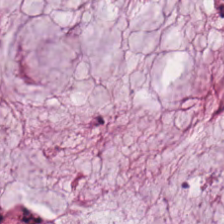H&E stain.
Tissue class — extracellular mucin.
